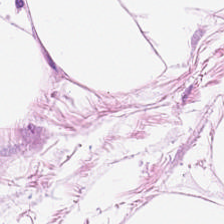Hematoxylin and eosin. 224×224 pixel tile.
Q: What tissue type is shown here?
A: Fat tissue.
